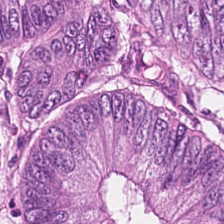Hematoxylin and eosin.
This patch shows malignant epithelium.
